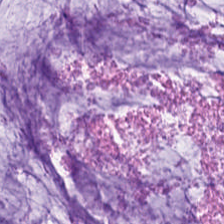H&E.
Showing extracellular mucin.
